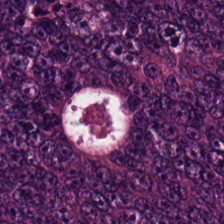H&E stain.
Q: What tissue is shown?
A: Colorectal adenocarcinoma.
